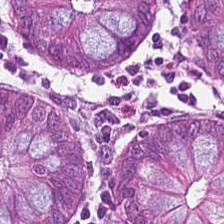H&E — Q: What is the predominant tissue type?
A: Non-neoplastic colon mucosa.
